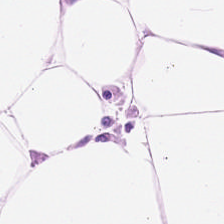Predominantly adipose tissue.
